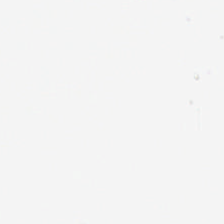Stain: H&E-stained tissue section.
Field content: no tissue.
